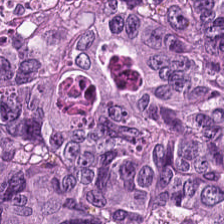H&E stain — The predominant tissue is colorectal adenocarcinoma epithelium.
